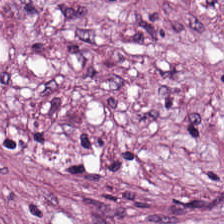Predominant tissue: desmoplastic stroma.
